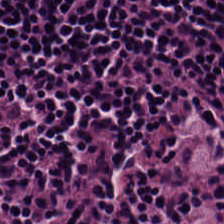224×224 px tile. H&E. Tissue class: lymphoid infiltrate.
